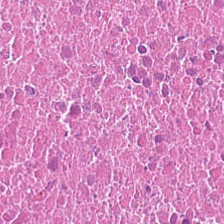H&E stain — Predominantly debris.
